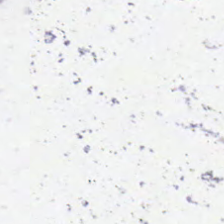Stain: H&E stain.
Tile size: 224×224 pixel tile.
Acquisition: brightfield.
Content: no tissue.
